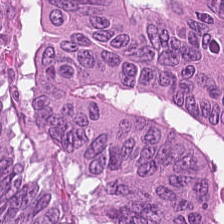Hematoxylin and eosin. Tissue: tumor epithelium.
